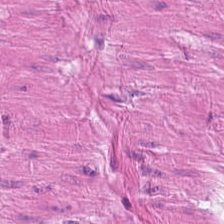Smooth-muscle tissue.
